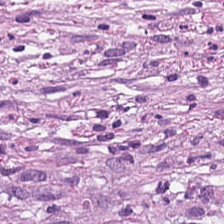0.5 microns per pixel; H&E-stained tissue section.
{"tissue_type": "desmoplastic stroma"}
